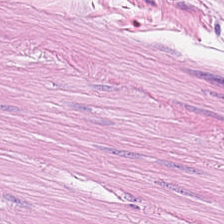The predominant tissue is muscularis.
